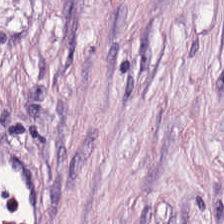Tissue class = tumor-associated stroma.
